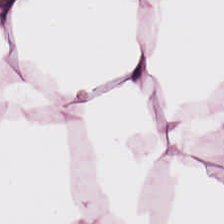Hematoxylin and eosin.
Q: What tissue type is shown here?
A: It is adipose.
